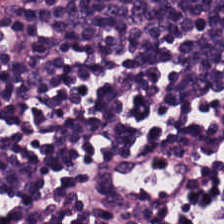Hematoxylin and eosin — Predominantly lymphocyte aggregate.
